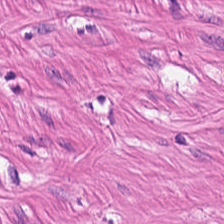H&E. Showing smooth muscle.
